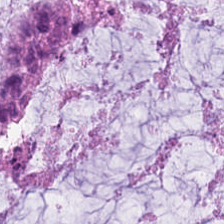Whole-slide-image patch. 224×224 px patch. H&E-stained tissue section — The predominant tissue is extracellular mucin.
